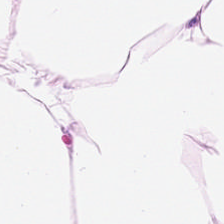Hematoxylin and eosin — Q: What tissue type is shown here?
A: Adipose tissue.
